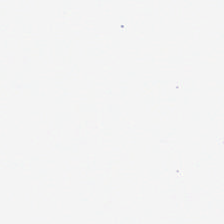0.5 µm per pixel. H&E stain.
Empty field — empty background.
